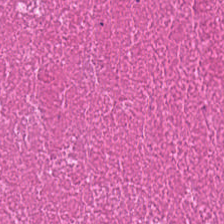Stain: hematoxylin-and-eosin stained section.
Tissue class: necrotic debris.
